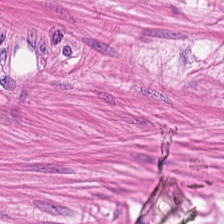H&E-stained tissue section — This field is smooth muscle.
